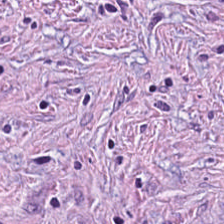H&E-stained tissue section.
The tissue here is tumor stroma.
